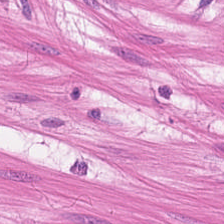Stain: H&E stain.
Classification: smooth-muscle tissue.
